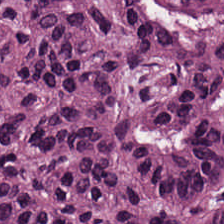Showing colorectal adenocarcinoma.
